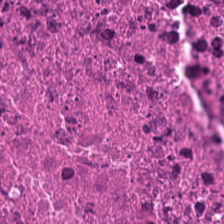H&E-stained tissue section.
Cellular debris.
